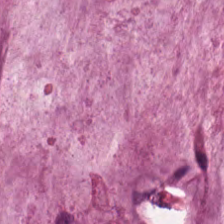Hematoxylin and eosin. This field is mucus.
